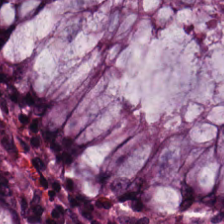Brightfield microscopy · H&E · 224×224 px patch — {"tissue_type": "benign colonic mucosa"}
